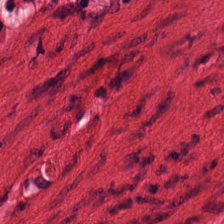Q: Identify the tissue.
A: It is muscularis.
